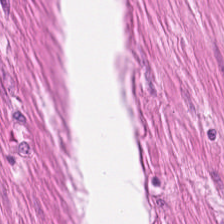Hematoxylin and eosin.
Q: What is shown here?
A: It is smooth muscle.
